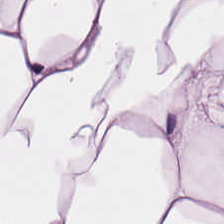H&E.
Tissue class = adipose tissue.
